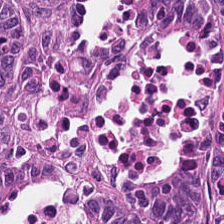Stain: hematoxylin and eosin.
Acquisition: whole-slide-image patch.
Tissue type: tumor epithelium.
